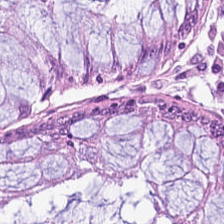Hematoxylin and eosin · 224×224 pixel tile.
Tissue type: normal colon mucosa.
